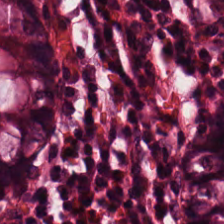Hematoxylin and eosin; FFPE tissue section; WSI patch — Q: What is the predominant tissue type?
A: Normal colonic mucosa.
